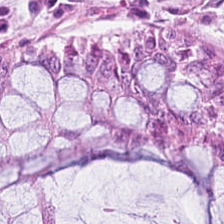Hematoxylin-and-eosin stained section.
Q: What type of tissue is this?
A: This is non-neoplastic colon mucosa.
